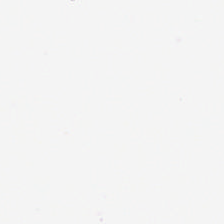H&E-stained tissue section.
Classification = no tissue.
